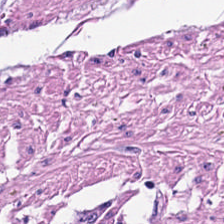Stain: hematoxylin and eosin.
Resolution: 0.5 microns per pixel.
Tissue type: smooth-muscle tissue.
